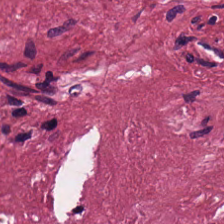H&E stain; FFPE — Tissue class: desmoplastic stroma.
